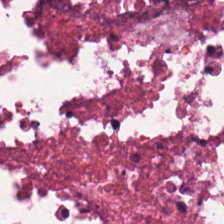H&E stain.
Tissue class = cellular debris.
